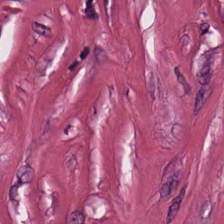H&E.
{"tissue_type": "cancer-associated stroma"}
